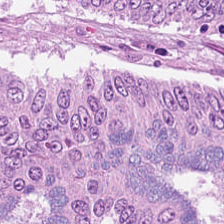Stain: hematoxylin-and-eosin stained section.
Classification: tumor epithelium.
